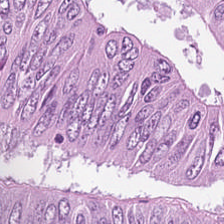H&E-stained tissue section.
Impression → tumor epithelium.
